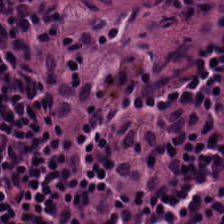H&E stain.
{"tissue_type": "lymphocytes"}
